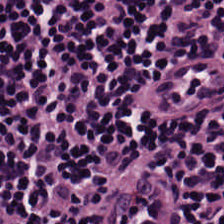Tissue = lymphocytic infiltrate.
